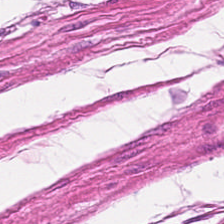H&E. Q: What does this patch show?
A: Muscularis.
